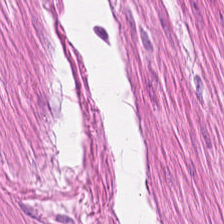Whole-slide-image patch · hematoxylin and eosin — Tissue: muscularis.
